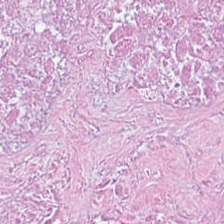Hematoxylin-and-eosin stained section.
Necrotic debris.
